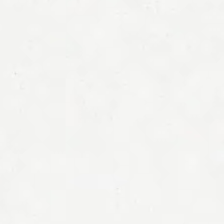Whole-slide-image patch. Hematoxylin and eosin.
Background.
